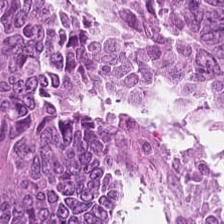H&E. {"tissue_type": "adenocarcinoma"}
